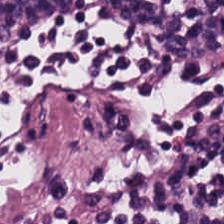Hematoxylin and eosin; formalin-fixed paraffin-embedded section — This patch shows lymphocyte aggregate.
